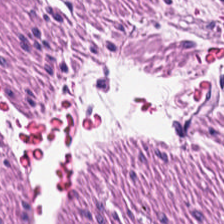Brightfield microscopy. 0.5 µm/px. H&E-stained tissue section — Smooth-muscle tissue.
